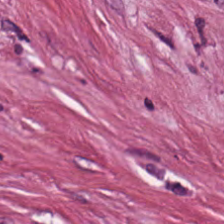Hematoxylin-and-eosin stained section — Finding → desmoplastic stroma.
